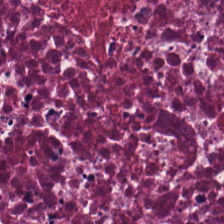20× equivalent magnification · hematoxylin-and-eosin stained section · whole-slide-image patch. Q: What type of tissue is this?
A: This is debris.
